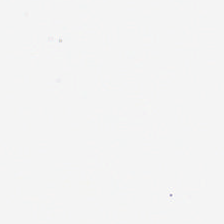Hematoxylin-and-eosin stained section — Background (no tissue).
